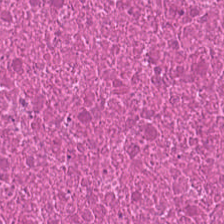Hematoxylin-and-eosin stained section. Whole-slide-image patch.
Classification = debris.
